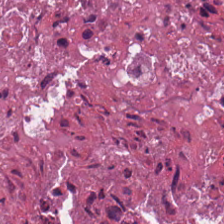Hematoxylin and eosin.
Q: Classify this patch.
A: The field shows cellular debris.
